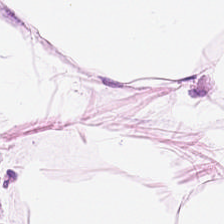Hematoxylin-and-eosin stained section. This field is adipose tissue.
